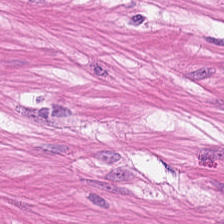224×224 pixel tile; formalin-fixed paraffin-embedded section; hematoxylin-and-eosin stained section — The classification is smooth muscle.
